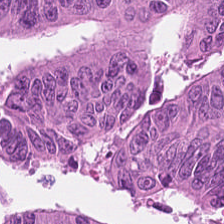H&E; 224×224 px patch — Q: Classify this patch.
A: Colorectal adenocarcinoma epithelium.
